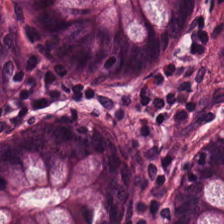H&E; 224×224 px patch. This patch shows normal colonic mucosa.
